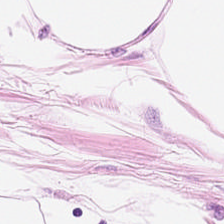Hematoxylin-and-eosin stained section. Adipose tissue.
